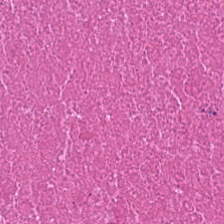0.5 µm per pixel. WSI patch. H&E stain. The predominant tissue is cellular debris.
